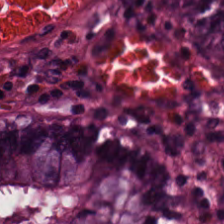H&E; 0.5 µm/px — Tissue class = normal colonic mucosa.
